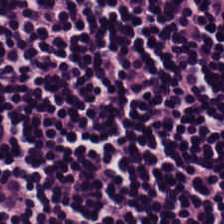H&E. {"tissue_type": "lymphocytic infiltrate"}
